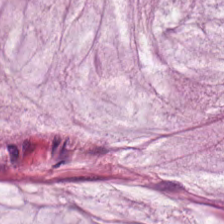Hematoxylin-and-eosin section: mucus.
